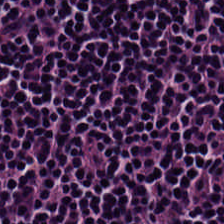Showing lymphoid infiltrate.
